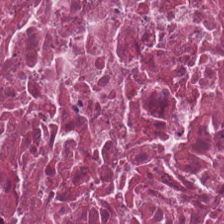Q: What is the predominant tissue type?
A: This is debris.
